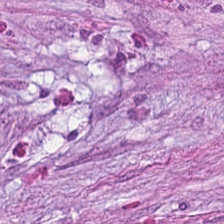Hematoxylin-and-eosin stained section.
Q: What is shown here?
A: The field shows tumor-associated stroma.
